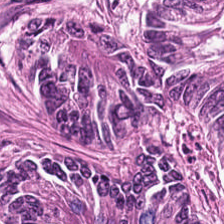H&E-stained section; the field shows colorectal adenocarcinoma epithelium.
